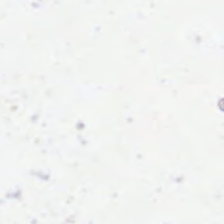Stain: hematoxylin and eosin.
Acquisition: brightfield microscopy.
Resolution: 0.5 microns per pixel.
Field content: background.
